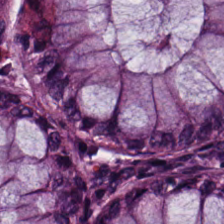Hematoxylin-and-eosin stained section · FFPE. This patch shows normal colonic mucosa.
